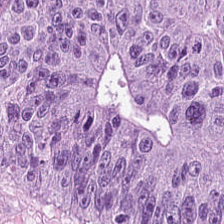H&E-stained tissue section; formalin-fixed paraffin-embedded section.
This patch shows adenocarcinoma.
